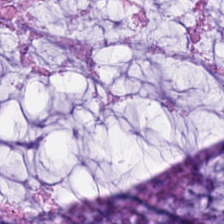H&E stain — Predominantly extracellular mucin.
